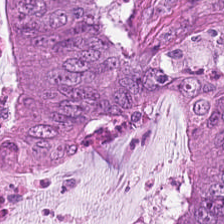Hematoxylin-and-eosin stained section. This patch shows colorectal adenocarcinoma epithelium.
